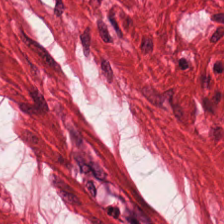224×224 pixel tile. H&E-stained tissue section. This patch shows smooth-muscle tissue.
